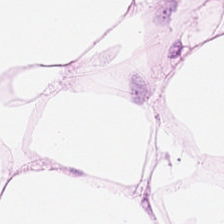Hematoxylin and eosin — Q: What is shown in this field?
A: Adipose.
